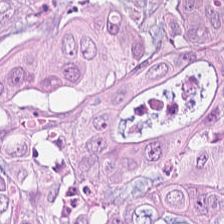H&E.
This field is adenocarcinoma.
